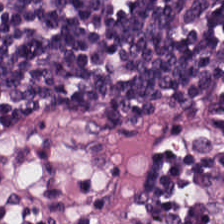Q: What is shown here?
A: This is lymphoid infiltrate.
